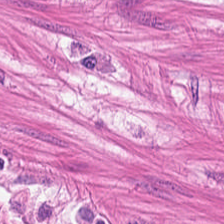H&E stain · 20× equivalent magnification. Classification — smooth-muscle tissue.
